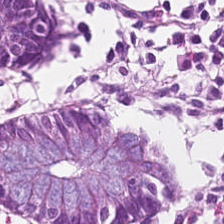H&E-stained tissue section. Histology → benign colonic mucosa.
